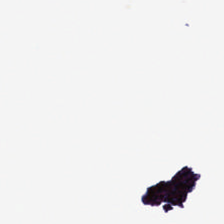Stain: H&E.
Content: background (no tissue).
